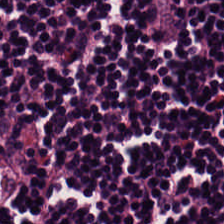0.5 µm per pixel · H&E-stained tissue section.
Finding — lymphocyte aggregate.
